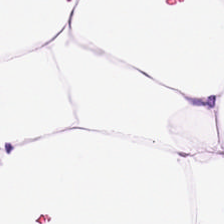Tissue class — fat tissue.
